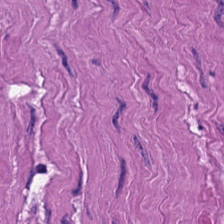Stain: H&E-stained tissue section.
Acquisition: whole-slide-image patch.
Resolution: 20× equivalent magnification.
Tissue: smooth-muscle tissue.
